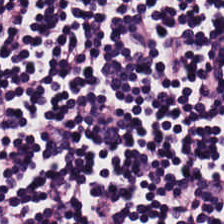Q: Classify this patch.
A: The field shows lymphocytes.
